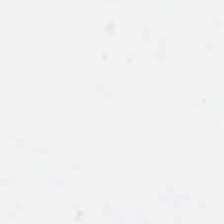FFPE tissue section. 0.5 µm per pixel. Hematoxylin-and-eosin stained section. Empty field — background.
